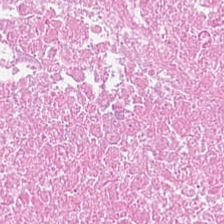Stain: hematoxylin-and-eosin stained section.
Classification: necrotic debris.
